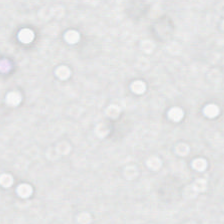0.5 µm/px. H&E-stained tissue section. This field is background (no tissue).
